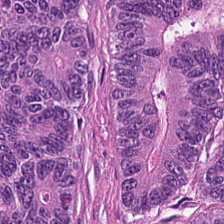0.5 µm/px; H&E-stained tissue section. The predominant tissue is adenocarcinoma.
